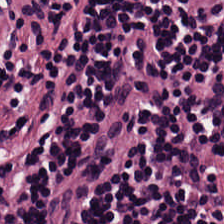Stain: hematoxylin-and-eosin stained section.
Acquisition: whole-slide-image patch.
Preparation: FFPE.
Tissue: lymphocytic infiltrate.
